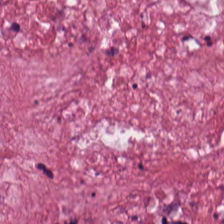H&E. 0.5 µm per pixel. 224×224 pixel tile. This field is desmoplastic stroma.
